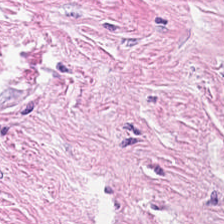H&E patch showing cancer-associated stroma.
